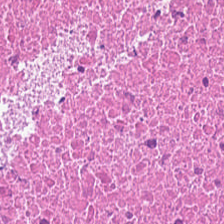Hematoxylin and eosin. Showing debris.
